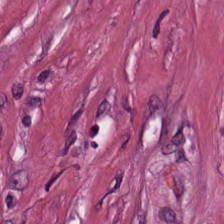Q: What tissue type is shown here?
A: The field shows desmoplastic stroma.
